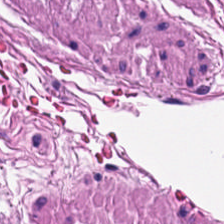H&E patch showing muscularis.
